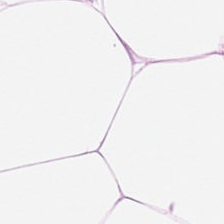H&E. 224×224 pixel tile.
{"tissue_type": "fat tissue"}
